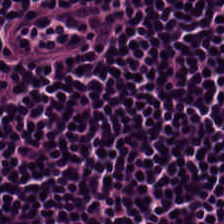Stain: hematoxylin and eosin.
Acquisition: whole-slide-image patch.
Tissue class: lymphocytes.
